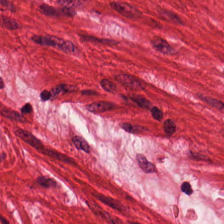Hematoxylin and eosin · 0.5 µm/px.
Q: Identify the tissue.
A: This is muscularis.
